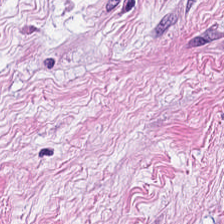Stain: H&E stain.
Tissue: desmoplastic stroma.
